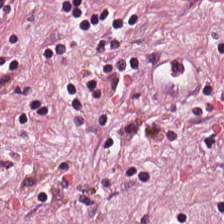H&E-stained tissue section; FFPE — Q: What tissue is shown?
A: This is tumor-associated stroma.
